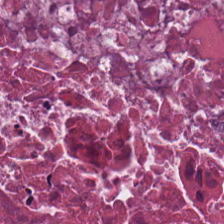Q: What is shown in this field?
A: This is debris.
